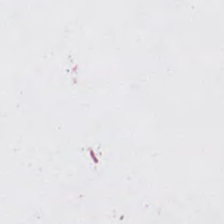Formalin-fixed paraffin-embedded section; hematoxylin-and-eosin stained section. Empty field — background.
